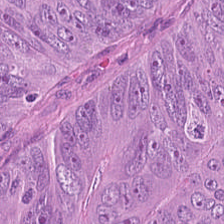Stain: H&E-stained tissue section.
Resolution: 0.5 µm per pixel.
Tissue type: tumor epithelium.
